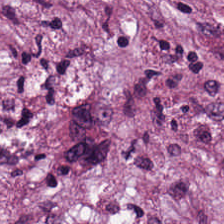H&E-stained tissue section.
Impression → tumor-associated stroma.
